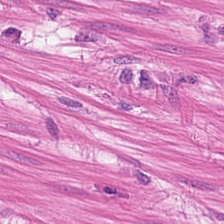Hematoxylin and eosin; whole-slide-image patch.
Tissue type — smooth muscle.
